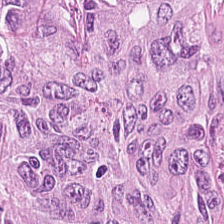{"tissue_type": "colorectal adenocarcinoma epithelium"}
